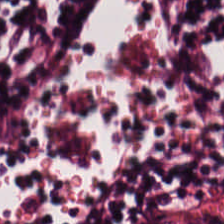0.5 µm per pixel. FFPE. Hematoxylin-and-eosin stained section — Finding — lymphocyte aggregate.
